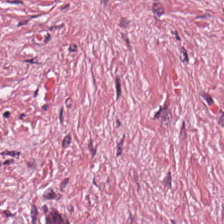The predominant tissue is cancer-associated stroma.
